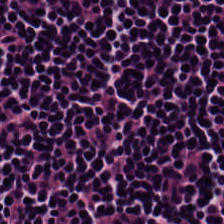224×224 px patch; hematoxylin and eosin. Showing lymphocytic infiltrate.
